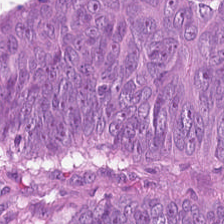H&E stain — Predominantly tumor epithelium.
